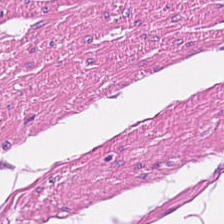The predominant tissue is muscularis.
